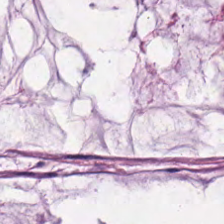Hematoxylin-and-eosin stained section. Q: Classify this patch.
A: It is extracellular mucin.
